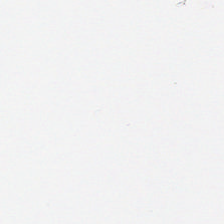0.5 µm per pixel; H&E stain — Q: What does this patch show?
A: Background.
